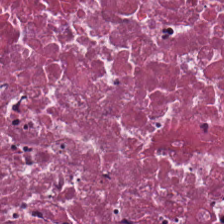The predominant tissue is debris.
